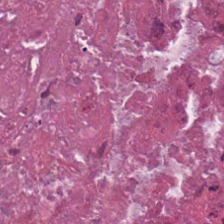Stain: H&E-stained tissue section.
Tissue class: debris.
